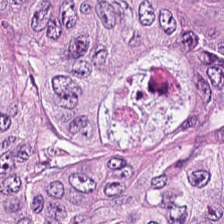224×224 px patch. H&E stain. FFPE.
Adenocarcinoma.
